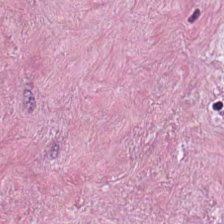Brightfield microscopy · hematoxylin-and-eosin stained section.
The predominant tissue is tumor-associated stroma.
